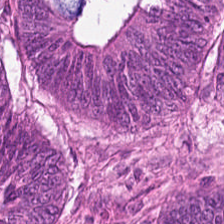H&E stain · 224×224 px tile · brightfield microscopy. Showing adenocarcinoma.
